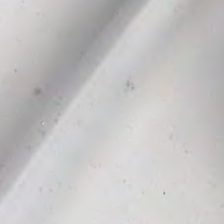Hematoxylin and eosin — This field is background (no tissue).
